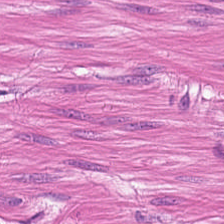Q: What tissue is shown?
A: This is muscularis.
